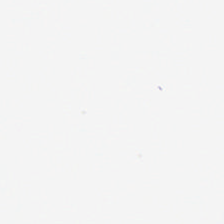Hematoxylin and eosin — Background — no tissue in this field.
